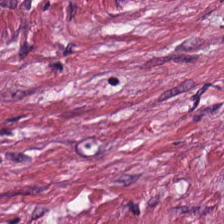Impression → cancer-associated stroma.
